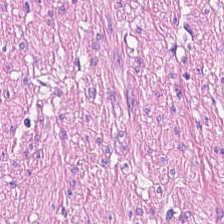Tissue — muscularis.
